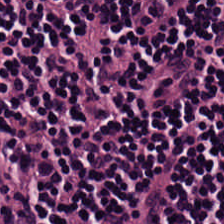Stain: H&E-stained tissue section.
Predominant tissue: lymphocytic infiltrate.
